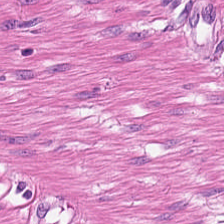Stain: hematoxylin and eosin.
Classification: smooth muscle.
